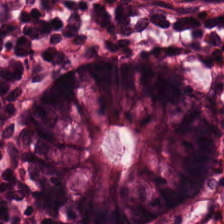Hematoxylin and eosin. Whole-slide-image patch. Classification — non-neoplastic colon mucosa.
